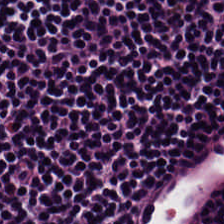H&E stain.
Q: Identify the tissue.
A: The field shows lymphocyte aggregate.
